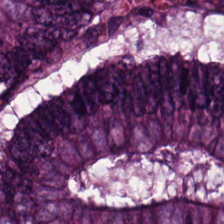H&E-stained section; the field shows colorectal adenocarcinoma.
